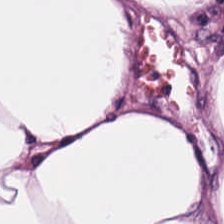H&E-stained tissue section · 224×224 pixel tile. Q: What is the predominant tissue type?
A: This is adipose tissue.
